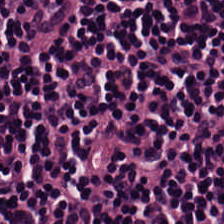H&E-stained tissue section; brightfield microscopy. This patch shows lymphocyte aggregate.
